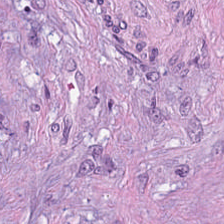{"tissue_type": "cancer-associated stroma"}
